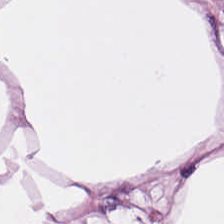Stain: H&E stain.
Tissue class: fat tissue.
